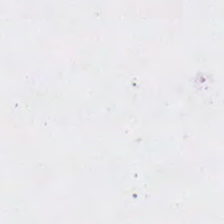H&E-stained tissue section. The classification is no tissue.
